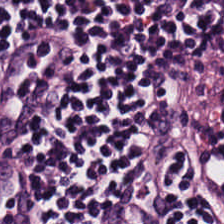Stain: H&E-stained tissue section.
Tissue class: lymphocytic infiltrate.
